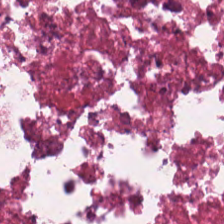FFPE · H&E-stained tissue section — Tissue type = debris.
